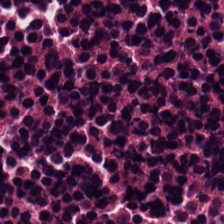H&E.
The tissue class is necrotic debris.
